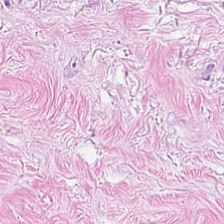H&E-stained tissue section. This field is tumor-associated stroma.
